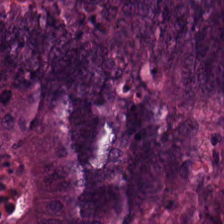0.5 µm per pixel; brightfield; hematoxylin and eosin — The predominant tissue is malignant epithelium.
